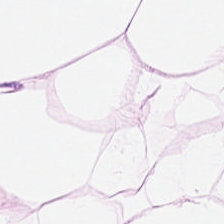H&E stain.
Q: What type of tissue is this?
A: Adipose tissue.
